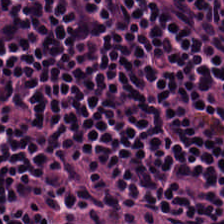H&E stain.
Tissue class = lymphocyte aggregate.
